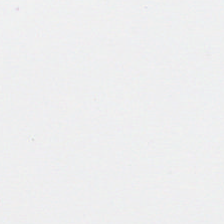Q: What is shown in this field?
A: It is background (no tissue).
